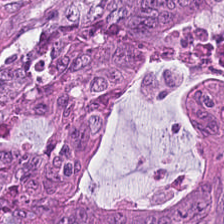Brightfield microscopy · hematoxylin and eosin — Predominantly malignant epithelium.
